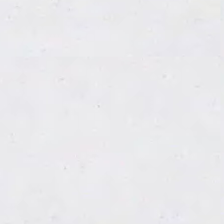0.5 microns per pixel · hematoxylin and eosin — This patch shows background (no tissue).
